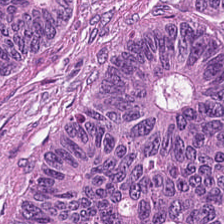Finding → colorectal adenocarcinoma.
